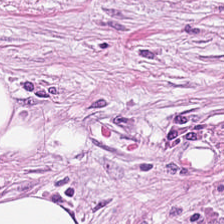Stain: hematoxylin-and-eosin stained section.
Tissue type: desmoplastic stroma.
